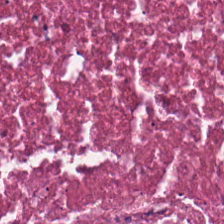H&E — This field is cellular debris.
